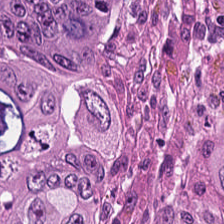0.5 microns per pixel; H&E-stained tissue section. Tissue type: tumor epithelium.
